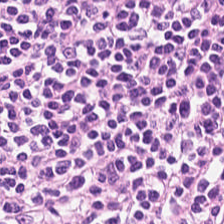Formalin-fixed paraffin-embedded section · H&E — The predominant tissue is lymphocytes.
